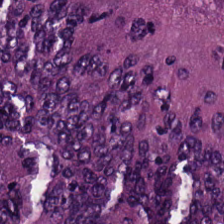FFPE tissue section · 224×224 px patch · hematoxylin-and-eosin stained section — Showing colorectal adenocarcinoma epithelium.
